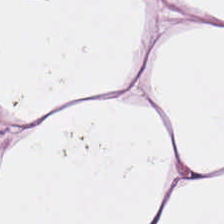H&E-stained tissue section. Predominantly fat tissue.
